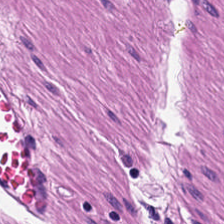This patch shows smooth muscle.
